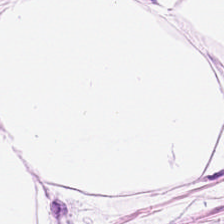{"tissue_type": "adipose tissue"}
